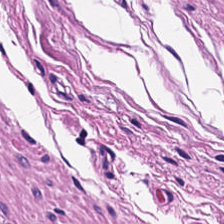Hematoxylin-and-eosin stained section; WSI patch.
Tissue class = smooth-muscle tissue.
